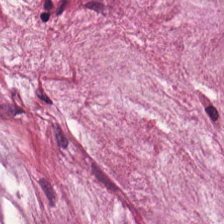H&E. Tissue type = mucin.
